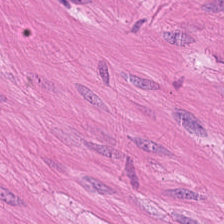H&E-stained tissue section; 0.5 µm per pixel — Q: What is shown in this field?
A: This is muscularis.
